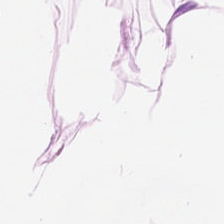H&E stain. Impression — fat tissue.
